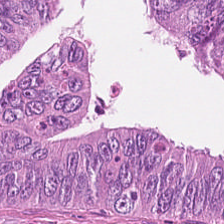H&E. The tissue here is tumor epithelium.
